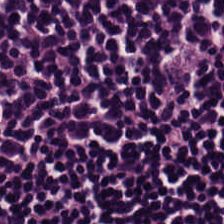Hematoxylin and eosin. Formalin-fixed paraffin-embedded section.
Classification — lymphoid infiltrate.
